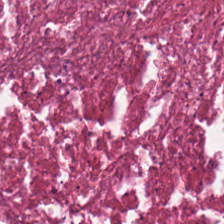Hematoxylin-and-eosin stained section; formalin-fixed paraffin-embedded section; 224×224 pixel tile — Predominant tissue: cellular debris.
